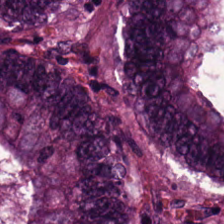Hematoxylin-and-eosin stained section.
Showing malignant epithelium.
